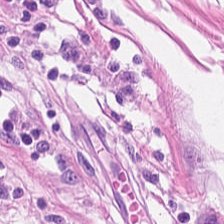H&E stain — Impression — smooth muscle.
